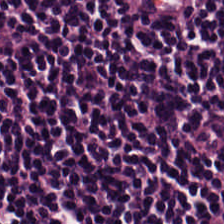Stain: H&E stain.
Preparation: formalin-fixed paraffin-embedded section.
Classification: lymphoid infiltrate.
